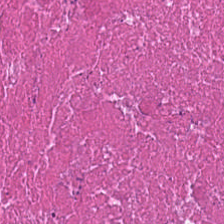H&E-stained tissue section.
This patch shows cellular debris.
